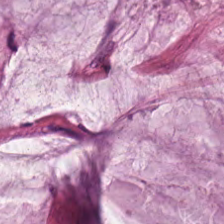The classification is mucus.
